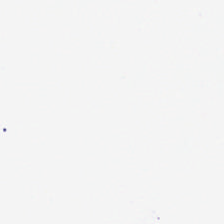{"content": "empty background"}
